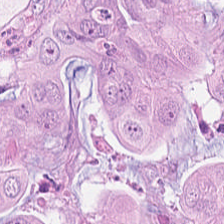Stain: hematoxylin and eosin.
Tile size: 224×224 px tile.
Acquisition: whole-slide-image patch.
Tissue type: tumor epithelium.
